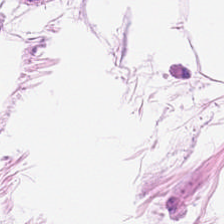Finding — fat tissue.
